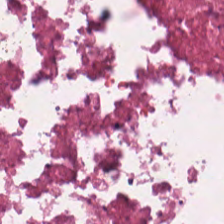Q: What type of tissue is this?
A: The field shows debris.
